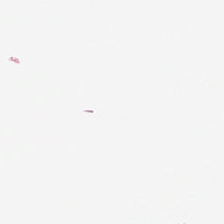Field content = empty background.
